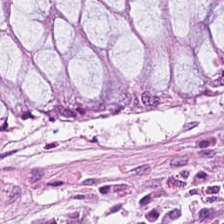H&E-stained tissue section. 0.5 microns per pixel. Tissue class: normal colon mucosa.
